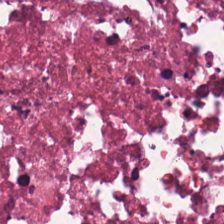H&E. The tissue type is necrotic debris.
